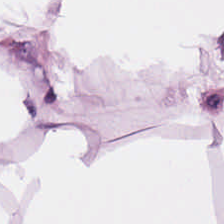H&E — Tissue — fat tissue.
